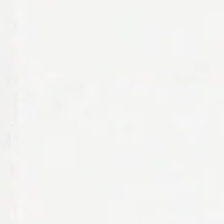Empty field — background (no tissue).
